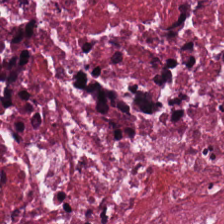Tissue class — necrotic debris.
